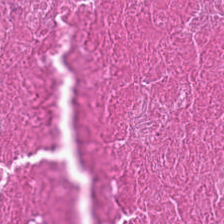Brightfield microscopy. H&E stain. Tissue class — cellular debris.
